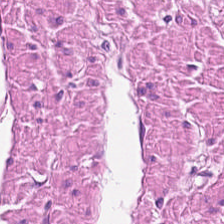H&E-stained tissue section. Brightfield microscopy. Q: What is shown here?
A: The field shows smooth muscle.
